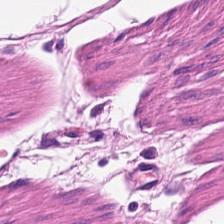Hematoxylin-and-eosin section: smooth-muscle tissue.
